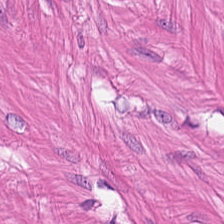Hematoxylin and eosin. WSI patch. Showing smooth-muscle tissue.
